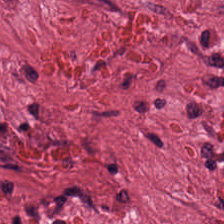Showing desmoplastic stroma.
